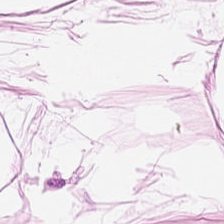H&E · formalin-fixed paraffin-embedded section · 224×224 px patch.
Q: What tissue type is shown here?
A: This is fat tissue.
